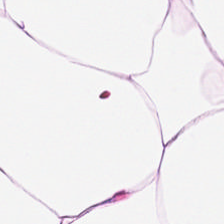0.5 microns per pixel; 224×224 px patch; H&E stain. Tissue class — adipose.
